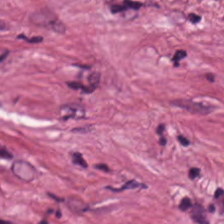224×224 px tile · H&E-stained tissue section.
Q: Identify the tissue.
A: Desmoplastic stroma.
